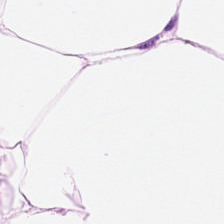Q: Identify the tissue.
A: It is adipocytes.
